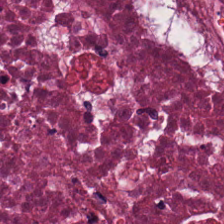Classification = necrotic debris.
